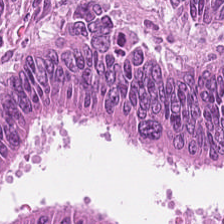Stain: H&E stain.
Classification: malignant epithelium.
